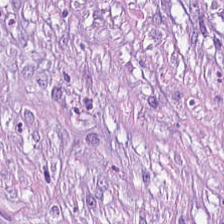H&E-stained tissue section. 0.5 microns per pixel. Q: What is the predominant tissue type?
A: It is cancer-associated stroma.
